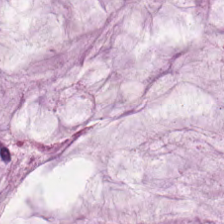H&E · 224×224 pixel tile — Mucus.
